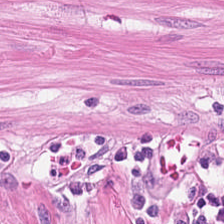Stain: H&E stain.
Preparation: formalin-fixed paraffin-embedded section.
Resolution: 0.5 microns per pixel.
Tissue type: muscularis.
